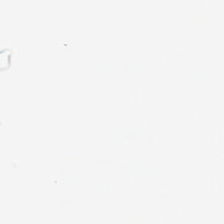Empty field — background.
